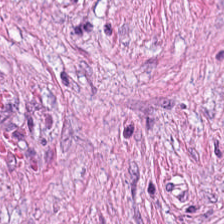Stain: H&E.
Tissue type: desmoplastic stroma.
